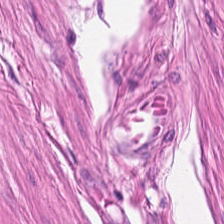FFPE; WSI patch; H&E-stained tissue section — Q: What tissue type is shown here?
A: Muscularis.
